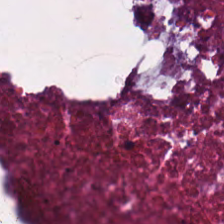H&E — Tissue: cellular debris.
